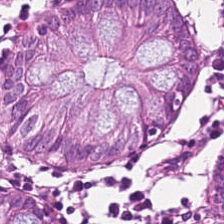Hematoxylin-and-eosin stained section — Finding — benign colonic mucosa.
